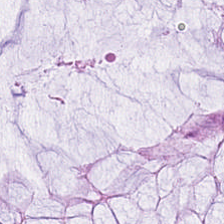20× equivalent magnification; H&E. The tissue here is non-neoplastic colon mucosa.
